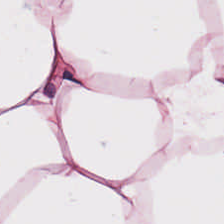H&E — Tissue type = adipocytes.
